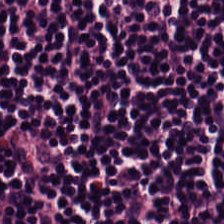H&E stain — Q: What is shown in this field?
A: It is lymphocytic infiltrate.
